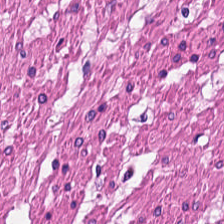Stain: H&E.
Tissue class: smooth muscle.
